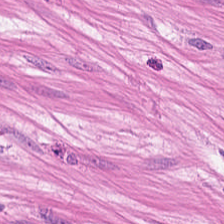H&E — muscularis.
